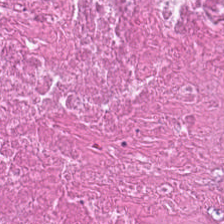Stain: H&E-stained tissue section.
Preparation: FFPE.
Predominant tissue: debris.
